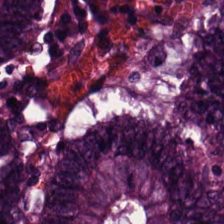Colorectal adenocarcinoma epithelium.
